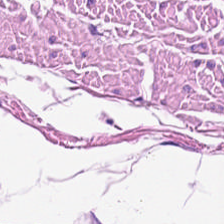H&E — The tissue class is smooth muscle.
